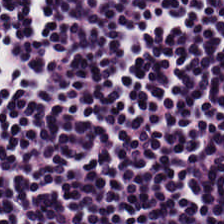H&E-stained tissue section.
Finding — lymphoid infiltrate.
